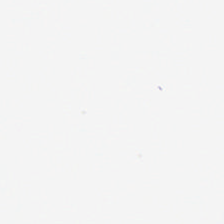FFPE tissue section. H&E stain. Brightfield microscopy — Content = empty background.
